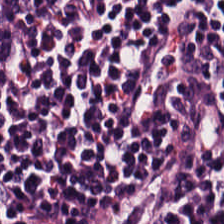Stain: H&E stain.
Predominant tissue: lymphocytic infiltrate.
